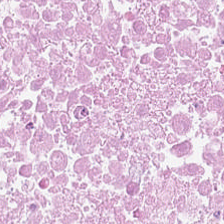H&E. 224×224 px tile. 0.5 µm/px — The predominant tissue is necrotic debris.
